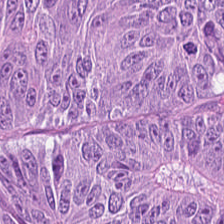Adenocarcinoma.
